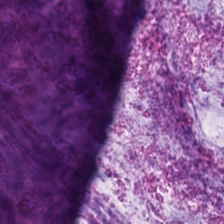Finding → mucus.
